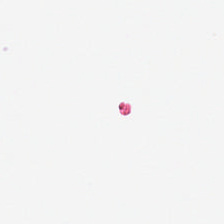0.5 µm per pixel; H&E stain. This patch shows no tissue.
